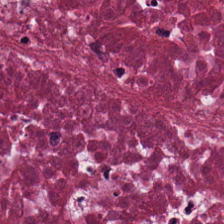Tissue class = debris.
